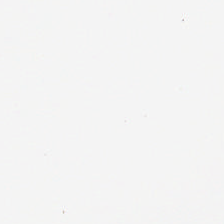Field content = empty background.
